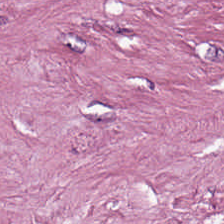Stain: H&E-stained tissue section.
Acquisition: brightfield.
Tissue: cancer-associated stroma.
